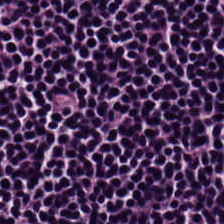Stain: hematoxylin and eosin.
Tissue class: lymphocytic infiltrate.
